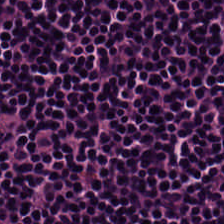H&E.
This patch shows lymphocyte aggregate.
